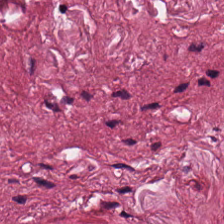Desmoplastic stroma.
